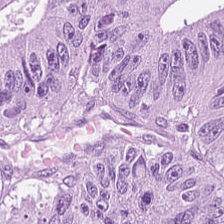H&E-stained tissue section. 224×224 pixel tile — The tissue here is colorectal adenocarcinoma epithelium.
